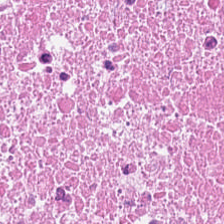The tissue here is cellular debris.
